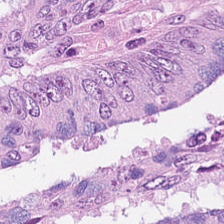Hematoxylin and eosin.
Classification — colorectal adenocarcinoma epithelium.
